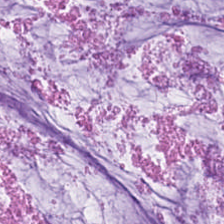Q: What tissue is shown?
A: Mucus.
